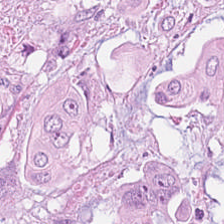Stain: H&E.
Resolution: 0.5 µm/px.
Tissue class: colorectal adenocarcinoma.
